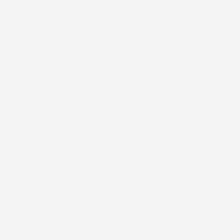Stain: hematoxylin-and-eosin stained section.
Content: empty background.
